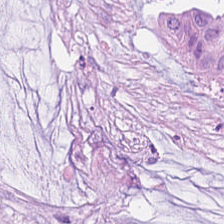H&E-stained tissue section — Showing mucus.
